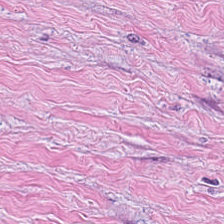H&E stain.
This field is tumor stroma.
